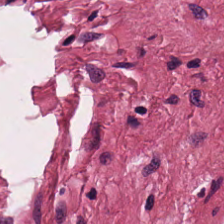Brightfield; FFPE tissue section; H&E stain.
Q: Classify this patch.
A: This is tumor stroma.
